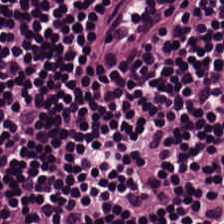WSI patch; H&E. Q: What tissue type is shown here?
A: The field shows lymphocyte aggregate.
